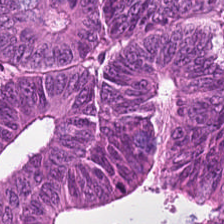224×224 pixel tile · hematoxylin-and-eosin stained section — Classification: malignant epithelium.
